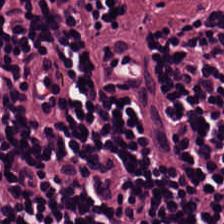Brightfield microscopy; H&E stain; 224×224 px tile. This patch shows lymphocyte aggregate.
